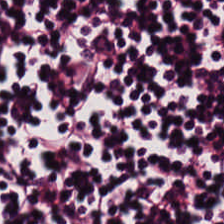Hematoxylin and eosin.
The tissue class is lymphocytic infiltrate.
